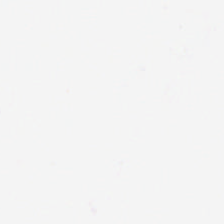Hematoxylin-and-eosin stained section.
Field content: empty background.
